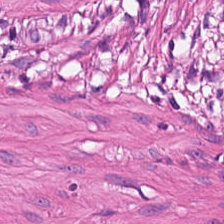H&E stain.
{"tissue_type": "muscularis"}
